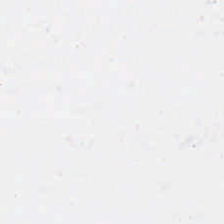This patch shows empty background.
